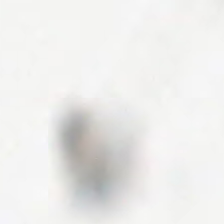Hematoxylin and eosin.
Impression → background (no tissue).
